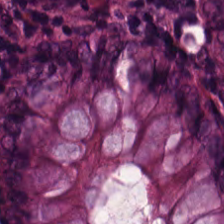H&E-stained tissue section. This field is normal colonic mucosa.
